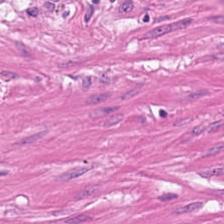H&E stain. The predominant tissue is muscularis.
